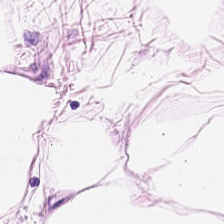Stain: hematoxylin-and-eosin stained section.
Tile size: 224×224 px patch.
Tissue: fat tissue.
